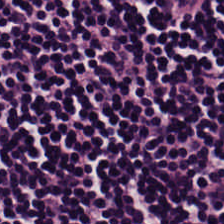20× equivalent magnification. Hematoxylin-and-eosin stained section. Brightfield.
Lymphocytes.
